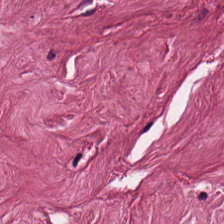224×224 pixel tile; H&E-stained tissue section; brightfield microscopy.
Finding → tumor stroma.
